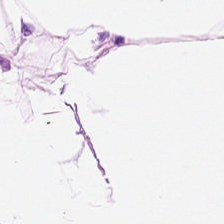Tissue — adipose tissue.
